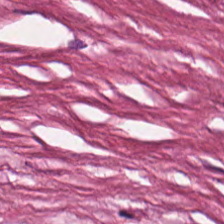Q: What does this patch show?
A: This is debris.
